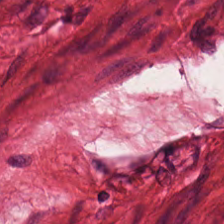224×224 pixel tile. Hematoxylin-and-eosin stained section. Brightfield microscopy. This patch shows smooth-muscle tissue.
